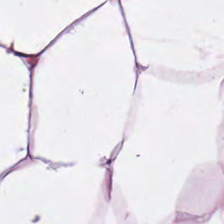Hematoxylin and eosin — This field is fat tissue.
